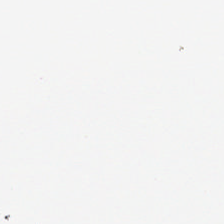Hematoxylin and eosin — This patch shows empty background.
